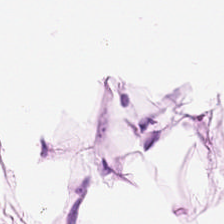H&E patch showing adipose.
